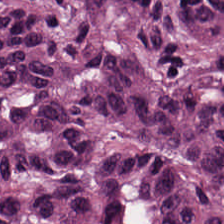Hematoxylin-and-eosin stained section — Tissue class — tumor epithelium.
